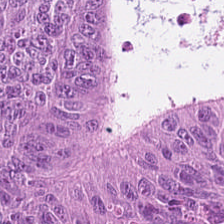H&E-stained tissue section · whole-slide-image patch — Finding — malignant epithelium.
